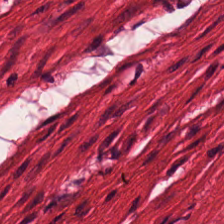Brightfield microscopy. Hematoxylin-and-eosin stained section. Predominant tissue — smooth muscle.
